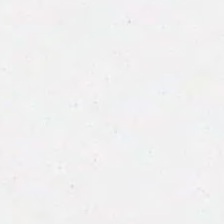Hematoxylin and eosin — No tissue present; background only.
